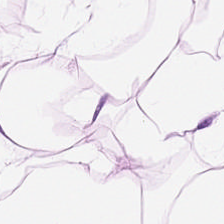{"tissue_type": "adipocytes"}
